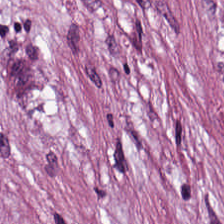Classification = tumor stroma.
